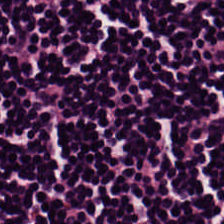Tissue class = lymphocytic infiltrate.
